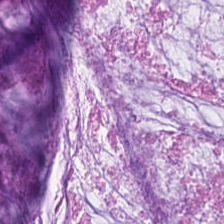Hematoxylin-and-eosin stained section. This field is mucin.
